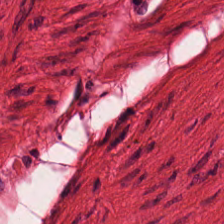The tissue here is muscularis.
